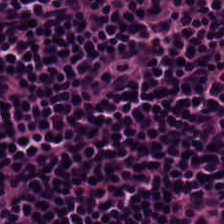The tissue class is lymphocyte aggregate.
